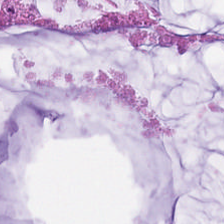H&E-stained tissue section. Q: Classify this patch.
A: This is extracellular mucin.
